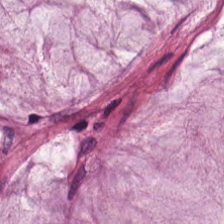224×224 px tile; hematoxylin-and-eosin stained section. Tissue type: mucus.
